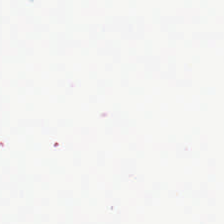Classification = background (no tissue).
